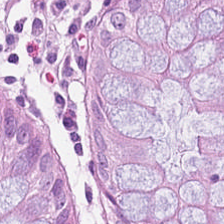224×224 px tile. Hematoxylin-and-eosin stained section.
The tissue is normal colonic mucosa.
